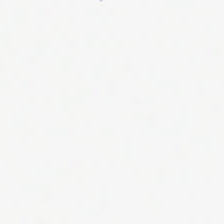Field content — background (no tissue).
